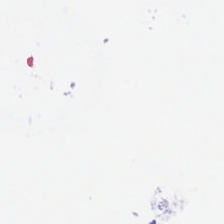20× equivalent magnification; H&E.
No tissue present; background only.
